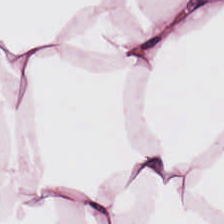Hematoxylin-and-eosin stained section.
Showing adipose tissue.
